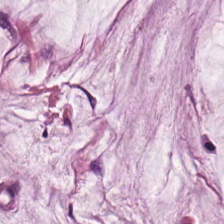224×224 px tile. H&E stain.
Tissue class — mucin.
